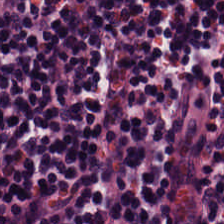H&E stain — Tissue type — lymphocytic infiltrate.
